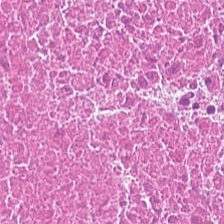Hematoxylin and eosin.
This patch shows cellular debris.
